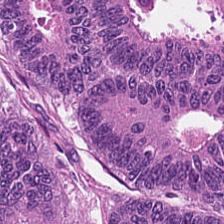H&E stain. Predominantly malignant epithelium.
